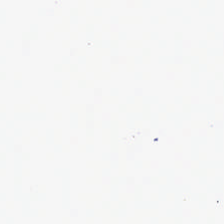0.5 µm per pixel. Hematoxylin and eosin. FFPE — {"content": "empty background"}
